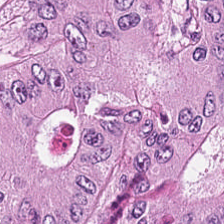0.5 µm/px; hematoxylin-and-eosin stained section.
Showing colorectal adenocarcinoma.
